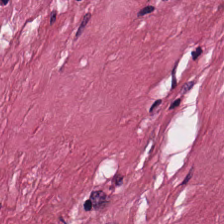Finding → cancer-associated stroma.
